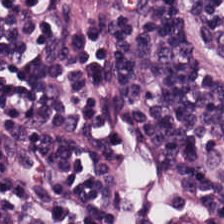0.5 microns per pixel; H&E — Tissue class = lymphocyte aggregate.
